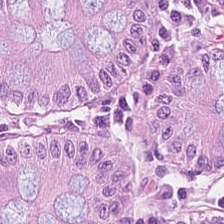H&E-stained tissue section — Q: What is shown in this field?
A: This is benign colonic mucosa.
